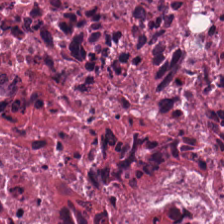H&E patch showing debris.
